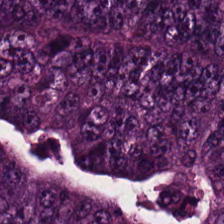{"tissue_type": "colorectal adenocarcinoma"}
